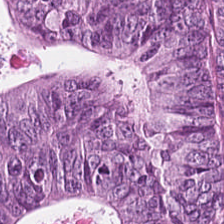H&E-stained tissue section — Q: Classify this patch.
A: The field shows adenocarcinoma.
